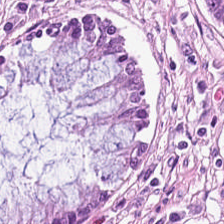Brightfield microscopy. H&E. 224×224 px patch — Tissue type: normal colonic mucosa.
